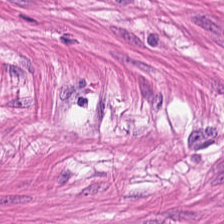Hematoxylin-and-eosin stained section.
Tissue = muscularis.
